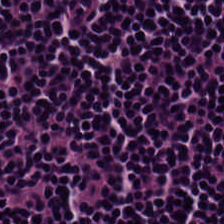{"tissue_type": "lymphocyte aggregate"}
